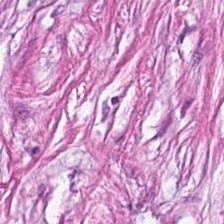Hematoxylin-and-eosin stained section — Predominant tissue — desmoplastic stroma.
